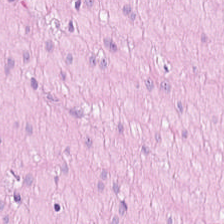Q: Identify the tissue.
A: Smooth-muscle tissue.
